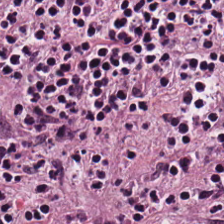Hematoxylin-and-eosin stained section. The tissue here is lymphocytic infiltrate.
